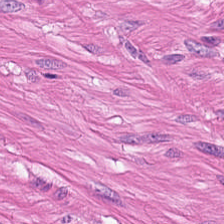H&E stain — Tissue — muscularis.
